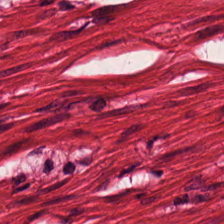H&E — Classification = smooth muscle.
